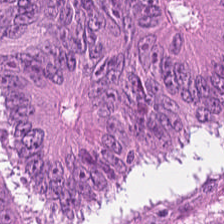Hematoxylin and eosin · 224×224 pixel tile — Tissue type = adenocarcinoma.
